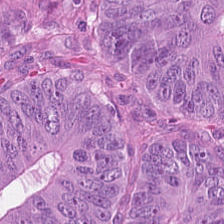Hematoxylin and eosin. The tissue type is tumor epithelium.
